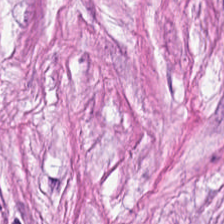0.5 microns per pixel · hematoxylin-and-eosin stained section. Tissue type — desmoplastic stroma.
